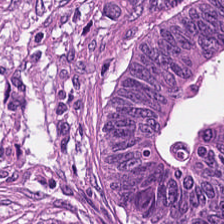H&E.
Showing colorectal adenocarcinoma.
